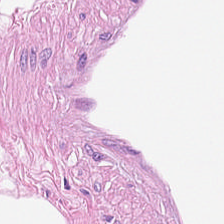WSI patch · H&E stain — Impression → fat tissue.
